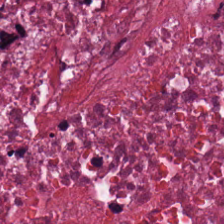H&E. FFPE. The predominant tissue is cellular debris.
